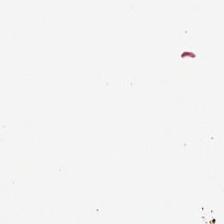FFPE; 0.5 µm per pixel; H&E-stained tissue section — Classification — background.
